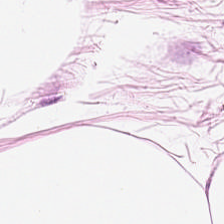Hematoxylin-and-eosin stained section; formalin-fixed paraffin-embedded section.
Histology → adipose.
